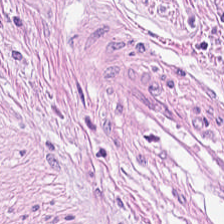Hematoxylin-and-eosin stained section. The predominant tissue is desmoplastic stroma.
